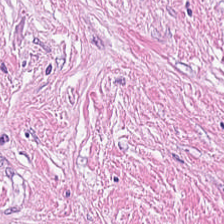Hematoxylin and eosin.
Impression → desmoplastic stroma.
